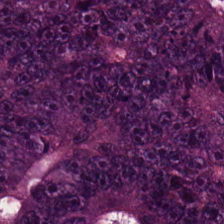H&E-stained tissue section — Tissue: colorectal adenocarcinoma epithelium.
